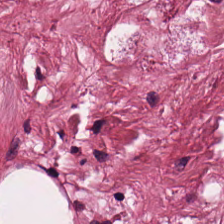Histology — desmoplastic stroma.
